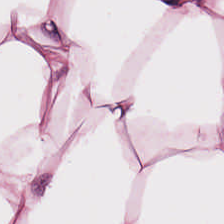Adipocytes.
